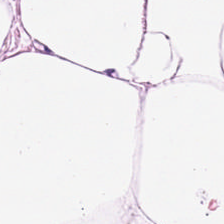WSI patch · hematoxylin and eosin. Showing adipose.
